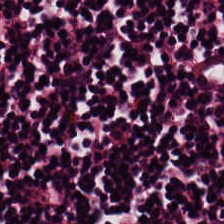This patch shows lymphocyte aggregate.
